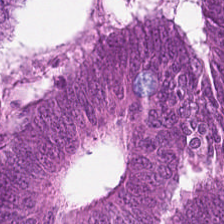Tissue = tumor epithelium.
